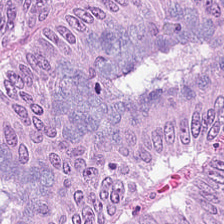Hematoxylin and eosin. Tissue = colorectal adenocarcinoma.
